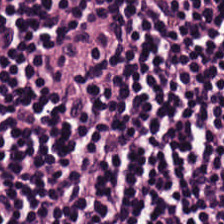224×224 px tile · H&E · formalin-fixed paraffin-embedded section — Classification = lymphocytic infiltrate.
